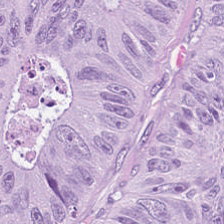Q: What does this patch show?
A: It is colorectal adenocarcinoma.
